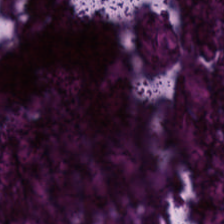20× equivalent magnification. 224×224 px tile. H&E. This patch shows debris.
